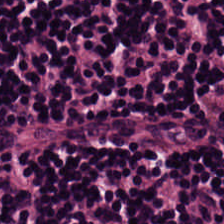H&E patch showing lymphocyte aggregate.
